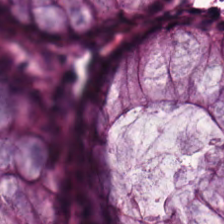Hematoxylin-and-eosin stained section · FFPE tissue section.
This patch shows non-neoplastic colon mucosa.
